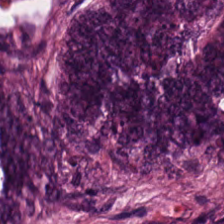H&E · formalin-fixed paraffin-embedded section.
The predominant tissue is colorectal adenocarcinoma epithelium.
